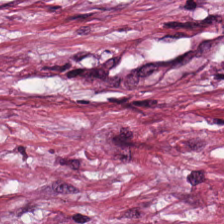Stain: hematoxylin-and-eosin stained section.
Classification: tumor stroma.
